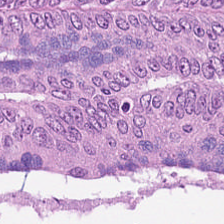H&E. Impression — malignant epithelium.
